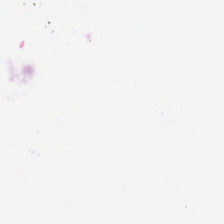H&E stain. 0.5 microns per pixel.
Q: What is shown in this field?
A: It is empty background.
